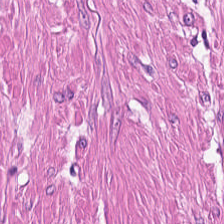Q: Identify the tissue.
A: This is smooth-muscle tissue.
